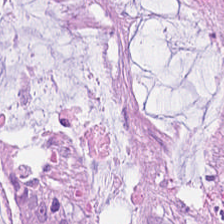H&E stain; 0.5 µm per pixel; FFPE tissue section — Classification = extracellular mucin.
